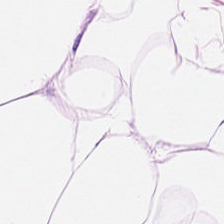H&E-stained tissue section.
Tissue = adipocytes.
